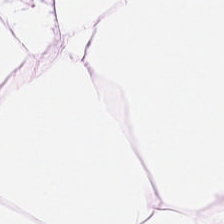Hematoxylin and eosin. Predominantly adipose.
